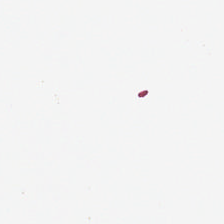Hematoxylin and eosin; FFPE — Background — no tissue in this field.
